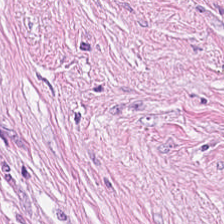Brightfield microscopy; H&E stain.
Q: What does this patch show?
A: It is cancer-associated stroma.
